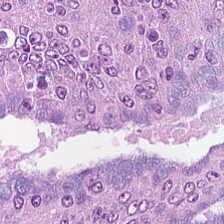H&E stain. Finding — colorectal adenocarcinoma epithelium.
